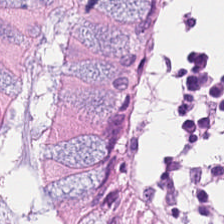H&E.
The tissue is normal colon mucosa.
